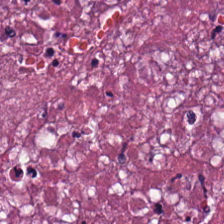Formalin-fixed paraffin-embedded section · H&E stain · 224×224 px patch. The tissue here is necrotic debris.
